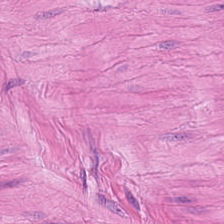H&E-stained tissue section. Predominantly smooth muscle.
